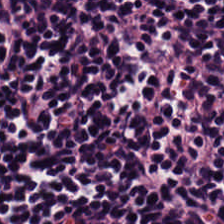Q: What does this patch show?
A: This is lymphocyte aggregate.
